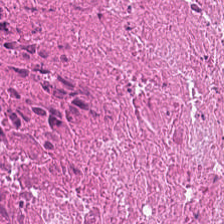H&E — Tissue class — necrotic debris.
